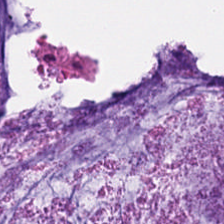0.5 microns per pixel. H&E. 224×224 pixel tile.
The tissue here is mucin.
